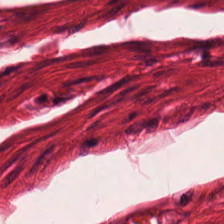H&E stain. Formalin-fixed paraffin-embedded section. 224×224 px patch. The tissue class is smooth muscle.
